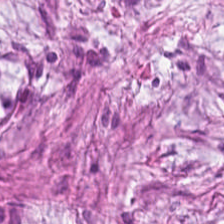Stain: hematoxylin and eosin.
Tissue type: desmoplastic stroma.
